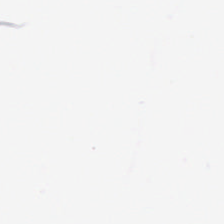H&E.
Q: Classify this patch.
A: It is empty background.
